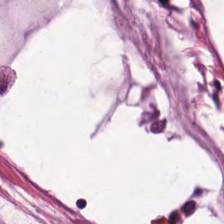0.5 µm/px; H&E-stained tissue section. The predominant tissue is mucus.
